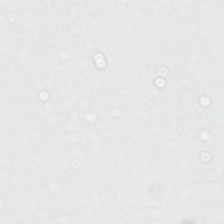Stain: H&E.
Field content: background (no tissue).
